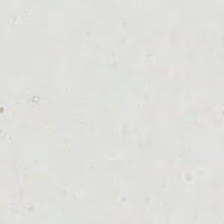0.5 µm/px. H&E-stained tissue section.
Classification: background.
